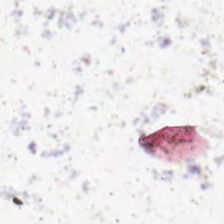H&E · FFPE. Q: What is shown in this field?
A: This is no tissue.
